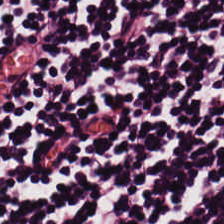Hematoxylin-and-eosin stained section; brightfield; FFPE tissue section.
Showing lymphoid infiltrate.
